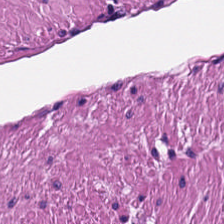Hematoxylin and eosin — Predominantly smooth-muscle tissue.
